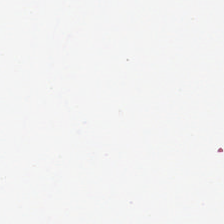{"content": "background (no tissue)"}
